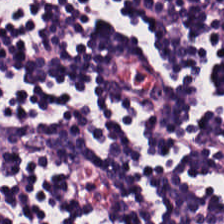224×224 px patch · H&E-stained tissue section — Q: What tissue is shown?
A: It is lymphocytic infiltrate.
